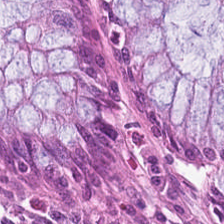Histology — non-neoplastic colon mucosa.
